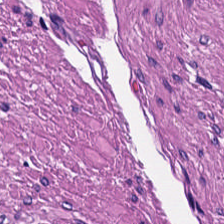Hematoxylin-and-eosin stained section — Smooth muscle.
